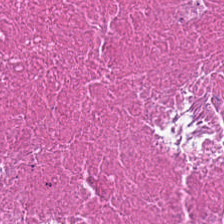Predominant tissue: cellular debris.
